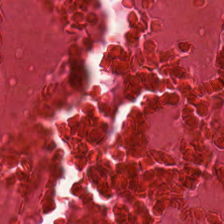Stain: hematoxylin-and-eosin stained section.
Tile size: 224×224 pixel tile.
Preparation: formalin-fixed paraffin-embedded section.
Tissue class: cellular debris.
